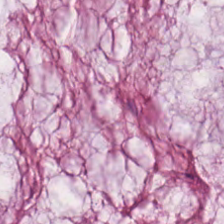The predominant tissue is extracellular mucin.
